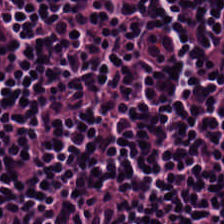H&E — Showing lymphoid infiltrate.
